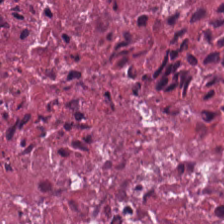Hematoxylin and eosin.
{"tissue_type": "cellular debris"}
